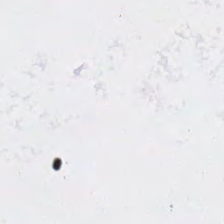H&E — This field is background (no tissue).
